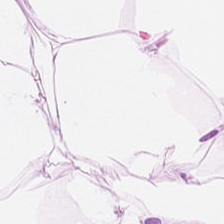Brightfield microscopy · hematoxylin-and-eosin stained section.
The tissue class is adipose tissue.
